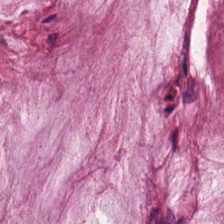H&E-stained tissue section. Finding — mucin.
